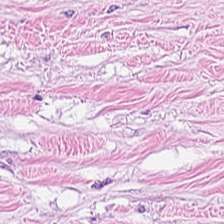Hematoxylin-and-eosin stained section.
Predominant tissue: desmoplastic stroma.
